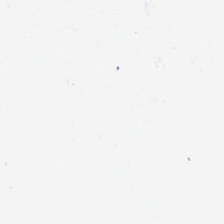Hematoxylin and eosin. 224×224 px tile. Whole-slide-image patch.
This field is background (no tissue).
